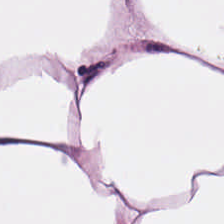Hematoxylin-and-eosin stained section.
Fat tissue.
